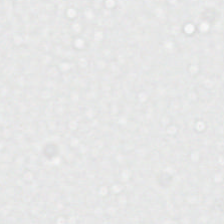Empty field — background (no tissue).
